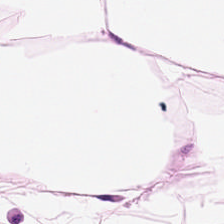H&E-stained tissue section — Histology → adipocytes.
